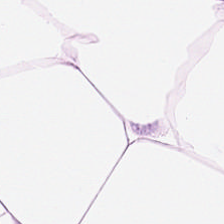Hematoxylin-and-eosin section: adipose tissue.
